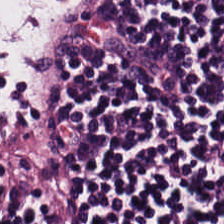Stain: hematoxylin-and-eosin stained section.
Acquisition: whole-slide-image patch.
Tissue class: lymphocytic infiltrate.
